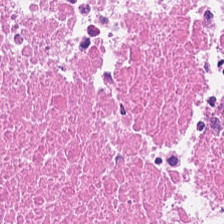Hematoxylin and eosin.
This patch shows cellular debris.
